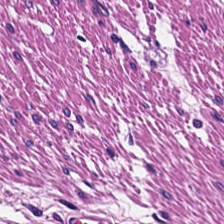Stain: H&E.
Tissue class: smooth-muscle tissue.
